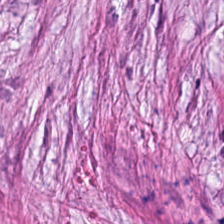Q: Classify this patch.
A: Tumor stroma.
